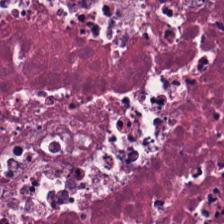H&E stain — Cellular debris.
